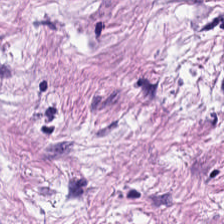Q: What type of tissue is this?
A: This is cancer-associated stroma.
